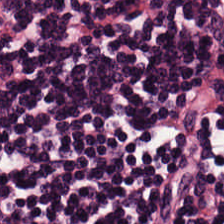Hematoxylin and eosin. Classification = lymphoid infiltrate.
